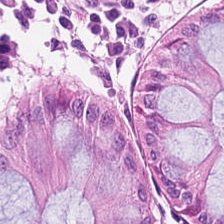FFPE tissue section. WSI patch. H&E-stained tissue section — Classification = normal colon mucosa.
